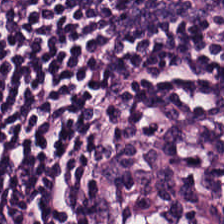This patch shows lymphocytes.
